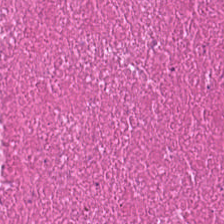Q: What is shown here?
A: The field shows debris.
